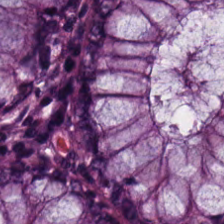H&E-stained tissue section; 0.5 µm/px — Showing normal colon mucosa.
